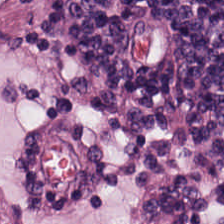Hematoxylin-and-eosin stained section.
The tissue here is lymphoid infiltrate.
